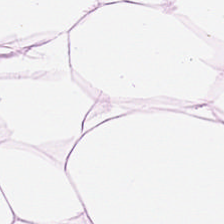Hematoxylin and eosin.
Predominant tissue — adipose tissue.
